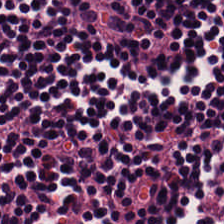H&E · whole-slide-image patch · formalin-fixed paraffin-embedded section — This field is lymphoid infiltrate.
